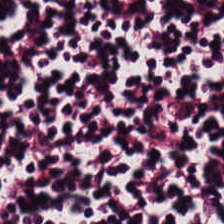Q: What tissue type is shown here?
A: It is lymphoid infiltrate.
